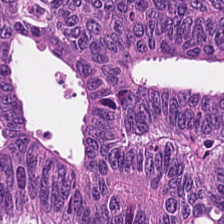H&E-stained tissue section; WSI patch.
Q: What tissue type is shown here?
A: Colorectal adenocarcinoma epithelium.
